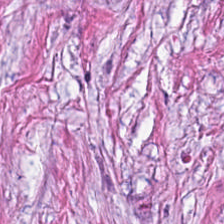Stain: H&E stain.
Tile size: 224×224 pixel tile.
Resolution: 0.5 µm per pixel.
Classification: tumor stroma.
